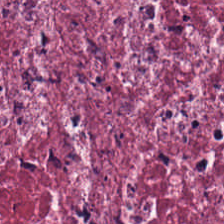H&E.
Tissue = tumor stroma.
